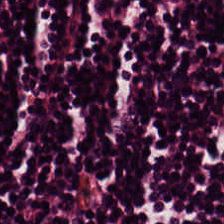Hematoxylin-and-eosin stained section. Predominant tissue: lymphocytic infiltrate.
